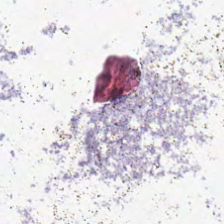Hematoxylin and eosin. This patch shows no tissue.
